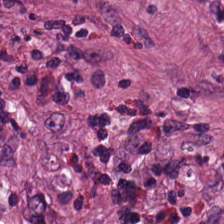Hematoxylin and eosin.
Q: What type of tissue is this?
A: It is desmoplastic stroma.
